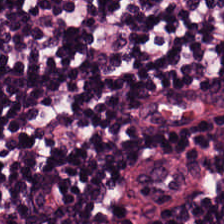FFPE · H&E-stained tissue section — Q: What is shown in this field?
A: This is lymphocyte aggregate.
